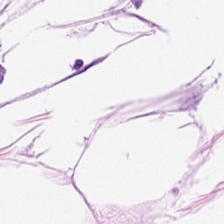Tissue class — adipocytes.
